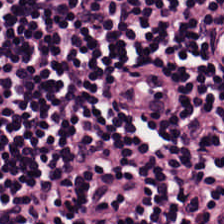Q: What is shown here?
A: The field shows lymphocytes.
